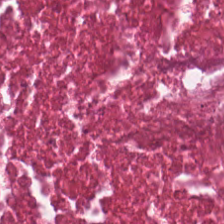224×224 px tile · 20× equivalent magnification · hematoxylin-and-eosin stained section. Q: Identify the tissue.
A: It is necrotic debris.
